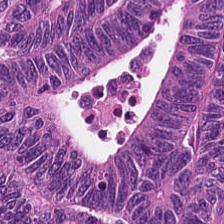H&E.
Predominantly colorectal adenocarcinoma.
